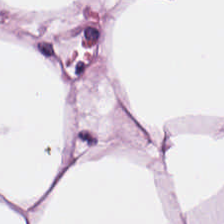Stain: H&E stain.
Resolution: 0.5 µm/px.
Tissue class: fat tissue.
